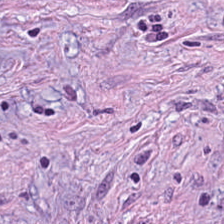Classification = desmoplastic stroma.
